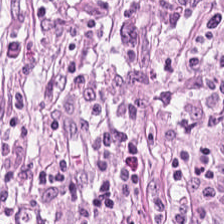Classification = cancer-associated stroma.
